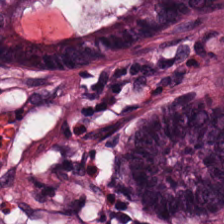Hematoxylin-and-eosin stained section. The predominant tissue is benign colonic mucosa.
